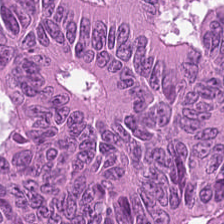Hematoxylin and eosin; FFPE tissue section.
Finding → malignant epithelium.
